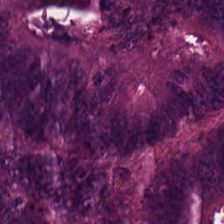Stain: hematoxylin and eosin.
Tissue class: tumor epithelium.
